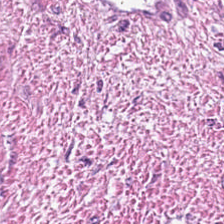Stain: H&E.
Tissue type: tumor-associated stroma.
